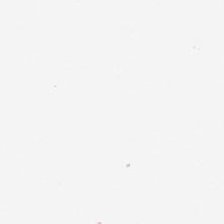Hematoxylin-and-eosin stained section.
Content = background (no tissue).
